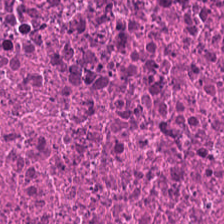224×224 pixel tile; hematoxylin-and-eosin stained section. The predominant tissue is debris.
